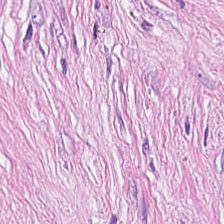Hematoxylin-and-eosin stained section. The predominant tissue is cancer-associated stroma.
